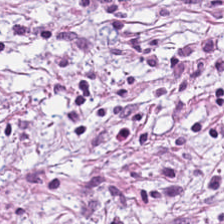Hematoxylin-and-eosin stained section.
Tissue class — desmoplastic stroma.
